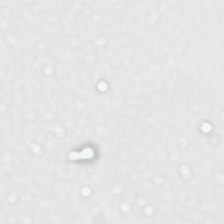Content = background (no tissue).
